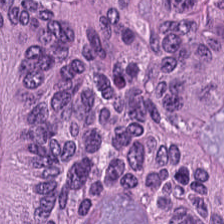{"tissue_type": "malignant epithelium"}
